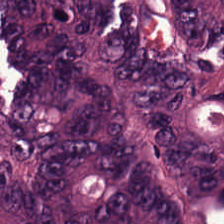Hematoxylin-and-eosin stained section.
Malignant epithelium.
